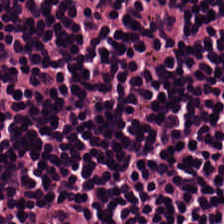H&E · brightfield.
The tissue type is lymphocytic infiltrate.
